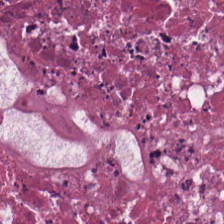Hematoxylin-and-eosin stained section; 0.5 µm/px. Predominantly debris.
